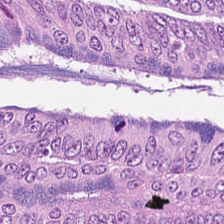WSI patch · 0.5 µm per pixel · H&E. Predominantly colorectal adenocarcinoma.
